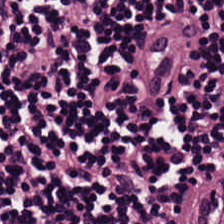H&E-stained tissue section showing lymphoid infiltrate.
